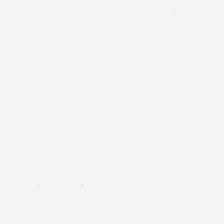0.5 microns per pixel. H&E — Q: Classify this patch.
A: Background (no tissue).
